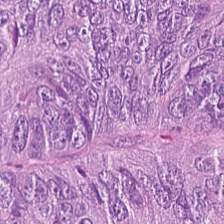H&E-stained tissue section — Q: Identify the tissue.
A: This is adenocarcinoma.
